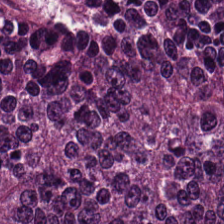Stain: H&E.
Classification: colorectal adenocarcinoma.
